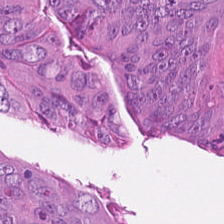Stain: hematoxylin and eosin.
Tissue type: tumor epithelium.
